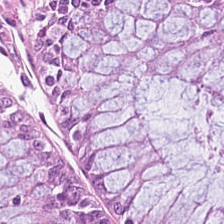224×224 px patch · hematoxylin and eosin. This patch shows benign colonic mucosa.
